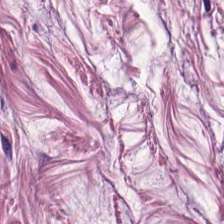Hematoxylin-and-eosin stained section. Smooth-muscle tissue.
